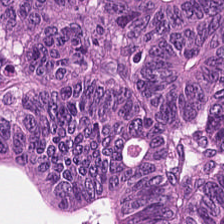Hematoxylin and eosin.
Tissue class: adenocarcinoma.
